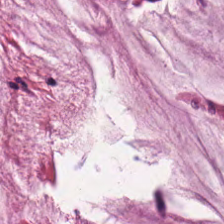Tissue class: mucin.
